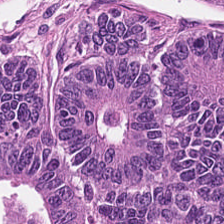Hematoxylin-and-eosin stained section. 0.5 microns per pixel. WSI patch — The tissue type is tumor epithelium.
